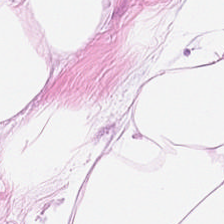0.5 microns per pixel · 224×224 px tile · H&E stain.
Q: Identify the tissue.
A: This is adipose tissue.
